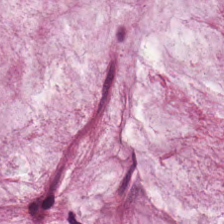Stain: H&E-stained tissue section.
Preparation: formalin-fixed paraffin-embedded section.
Predominant tissue: mucin.
